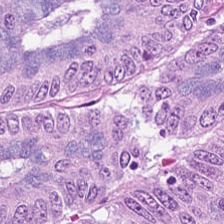H&E-stained tissue section showing malignant epithelium.
